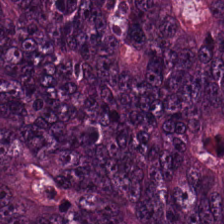Colorectal adenocarcinoma.
